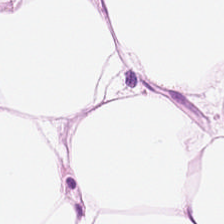Hematoxylin and eosin; FFPE — Classification: adipocytes.
